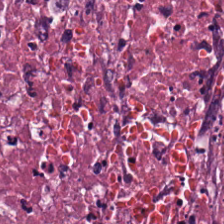H&E-stained tissue section showing debris.
